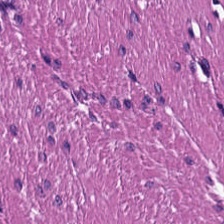Formalin-fixed paraffin-embedded section · H&E stain · brightfield — {"tissue_type": "smooth muscle"}
